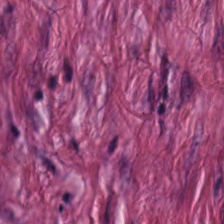Tissue class: tumor stroma.
